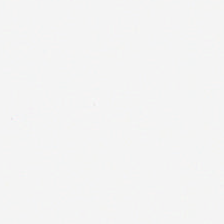Hematoxylin and eosin. No tissue present; background only.
